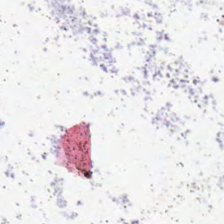224×224 px tile · H&E stain · FFPE tissue section — Empty background.
